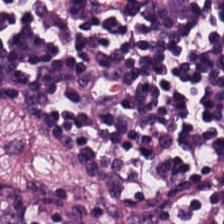Brightfield; H&E-stained tissue section; 224×224 px patch — Q: What is shown here?
A: The field shows lymphoid infiltrate.
